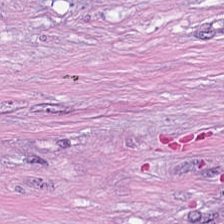Brightfield. Hematoxylin-and-eosin stained section. 224×224 px patch. Tissue type — tumor-associated stroma.
